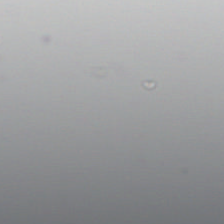Q: What is shown in this field?
A: The field shows background (no tissue).
